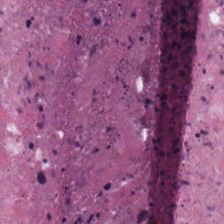0.5 µm per pixel. H&E stain. Histology — debris.
